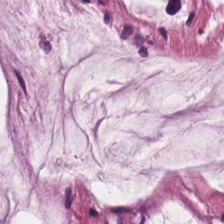FFPE. H&E stain.
Predominantly mucus.
